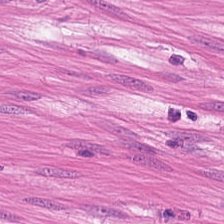Predominantly smooth muscle.
